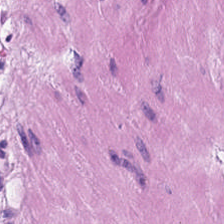Hematoxylin and eosin; 224×224 px patch; whole-slide-image patch. Q: What type of tissue is this?
A: This is smooth muscle.
